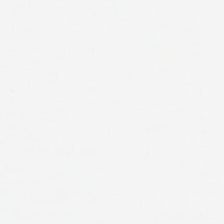Hematoxylin and eosin.
The content is background (no tissue).
